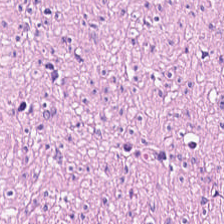Hematoxylin-and-eosin stained section.
Showing muscularis.
